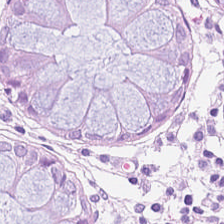Hematoxylin-and-eosin stained section. {"tissue_type": "normal colon mucosa"}
